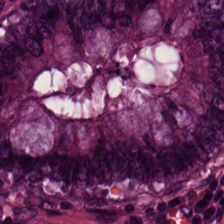224×224 pixel tile; H&E — Tissue — normal colon mucosa.
